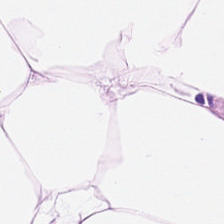Adipocytes.
